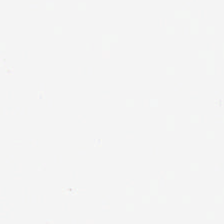Hematoxylin-and-eosin stained section · whole-slide-image patch.
This patch shows background.
